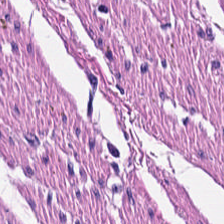Predominantly smooth-muscle tissue.
